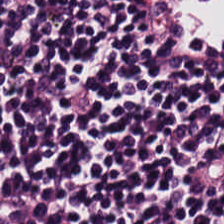Brightfield; hematoxylin-and-eosin stained section; 224×224 px patch.
Predominantly lymphocytic infiltrate.
